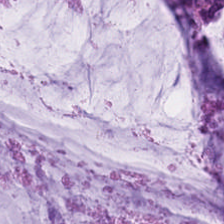H&E-stained tissue section.
This patch shows extracellular mucin.
